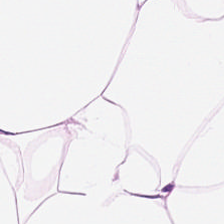Stain: H&E.
Tissue type: adipocytes.
